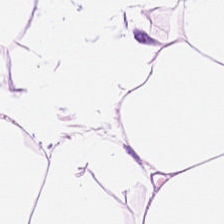Q: What type of tissue is this?
A: Adipocytes.
